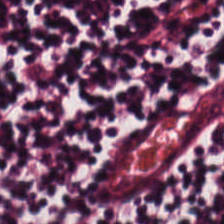H&E.
The predominant tissue is lymphocytes.
